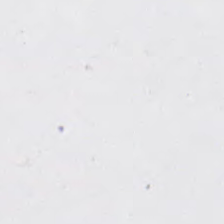Background — no tissue in this field.
